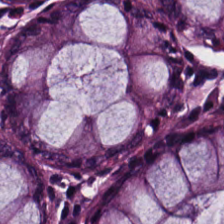FFPE · 0.5 µm per pixel · H&E stain — Tissue class: normal colonic mucosa.
